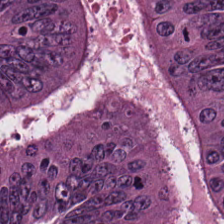H&E; 0.5 µm per pixel — Predominant tissue: adenocarcinoma.
